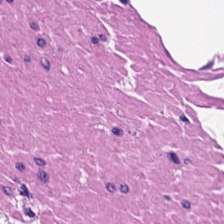Hematoxylin-and-eosin stained section — The tissue is smooth-muscle tissue.
